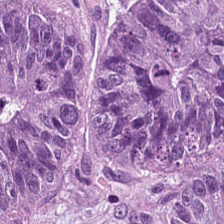H&E-stained tissue section. Tissue type: colorectal adenocarcinoma.
